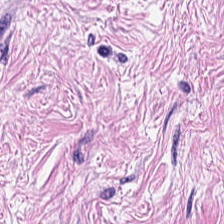Formalin-fixed paraffin-embedded section; 224×224 px tile; H&E — Impression → tumor stroma.
